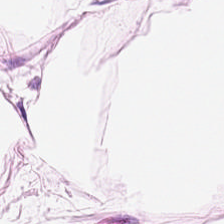Stain: H&E.
Acquisition: whole-slide-image patch.
Tissue class: fat tissue.
